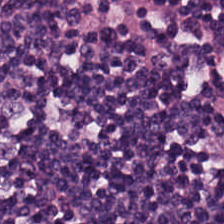Impression — lymphoid infiltrate.
